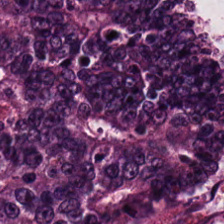Hematoxylin-and-eosin stained section; 0.5 microns per pixel — Q: What type of tissue is this?
A: It is colorectal adenocarcinoma.
